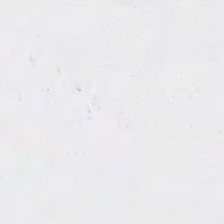224×224 pixel tile · 0.5 µm/px · H&E stain — Background — no tissue in this field.
